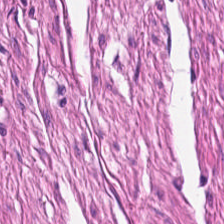Hematoxylin and eosin. 224×224 px tile.
Predominantly smooth muscle.
